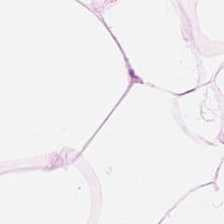Hematoxylin and eosin.
Q: What tissue type is shown here?
A: It is adipose.
